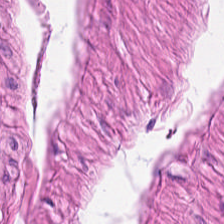Hematoxylin and eosin. FFPE tissue section. 0.5 µm/px — Q: Classify this patch.
A: It is muscularis.
